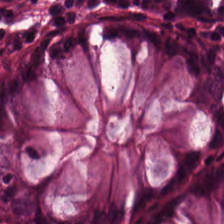H&E. {"tissue_type": "normal colonic mucosa"}
